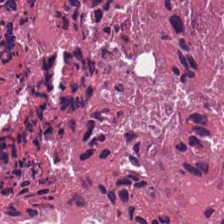Hematoxylin-and-eosin stained section.
Impression — cellular debris.
